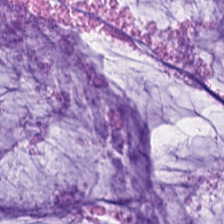FFPE; WSI patch; hematoxylin-and-eosin stained section — Q: What tissue type is shown here?
A: The field shows mucus.
